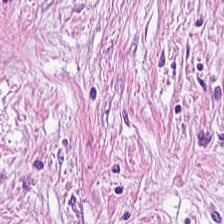Stain: H&E-stained tissue section.
Classification: cancer-associated stroma.
